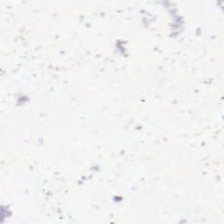Empty field — background (no tissue).
